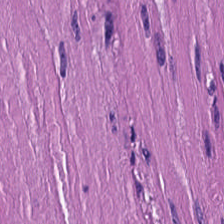The tissue here is smooth muscle.
